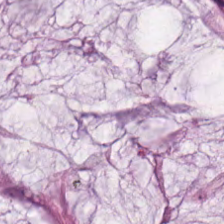The predominant tissue is mucin.
